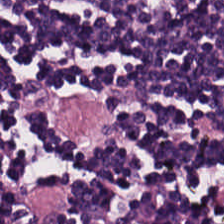H&E-stained tissue section · 224×224 pixel tile — Lymphocytic infiltrate.
